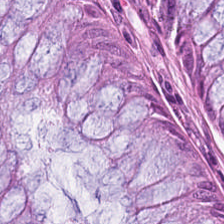H&E stain — This patch shows normal colonic mucosa.
